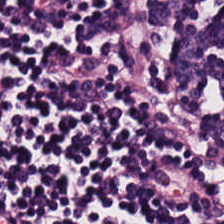Finding → lymphocyte aggregate.
